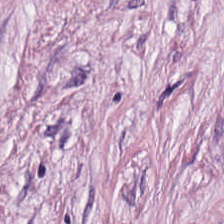Q: What is shown here?
A: It is cancer-associated stroma.
